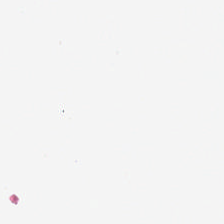H&E.
{"content": "empty background"}
